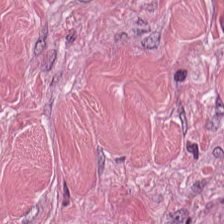Hematoxylin-and-eosin stained section.
{"tissue_type": "desmoplastic stroma"}
